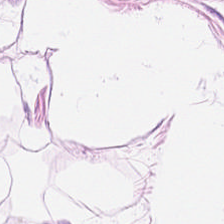Predominant tissue — adipose tissue.
